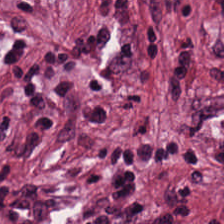H&E · 20× equivalent magnification · whole-slide-image patch.
Impression — cancer-associated stroma.
